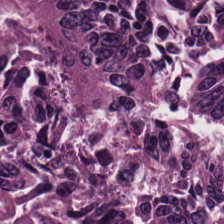H&E. 0.5 microns per pixel.
Finding — adenocarcinoma.
